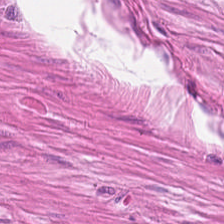Q: What tissue type is shown here?
A: It is smooth-muscle tissue.
